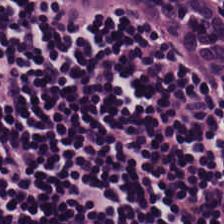Brightfield. H&E-stained tissue section. 224×224 px tile.
This field is lymphocyte aggregate.
